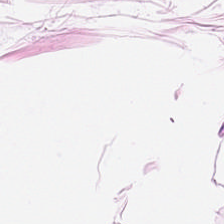Stain: hematoxylin-and-eosin stained section.
Predominant tissue: adipose tissue.
